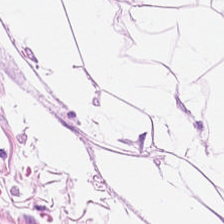0.5 µm per pixel; H&E.
Q: What is the predominant tissue type?
A: The field shows adipose tissue.
